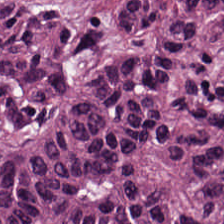H&E. 224×224 px patch.
The predominant tissue is colorectal adenocarcinoma.
